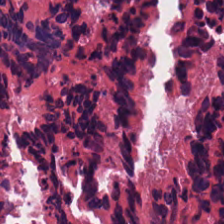Hematoxylin-and-eosin stained section — Q: What does this patch show?
A: It is cellular debris.
